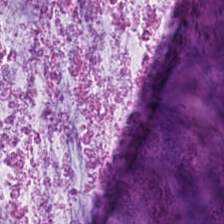Brightfield microscopy · hematoxylin and eosin. Showing extracellular mucin.
